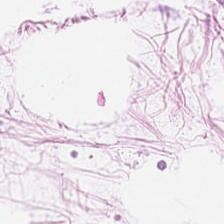Stain: hematoxylin-and-eosin stained section.
Tissue: adipose tissue.
